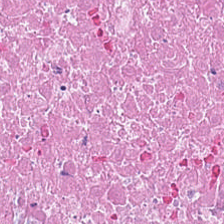Impression → debris.
